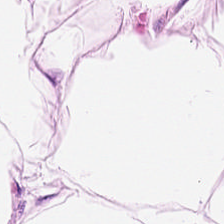Impression → adipocytes.
